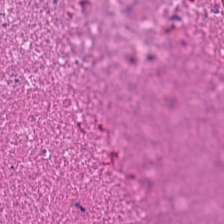Whole-slide-image patch. FFPE. H&E. Tissue — debris.
